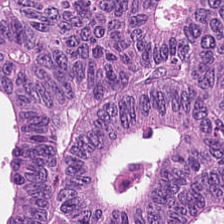H&E stain · 0.5 µm per pixel — Q: What is the predominant tissue type?
A: It is adenocarcinoma.
